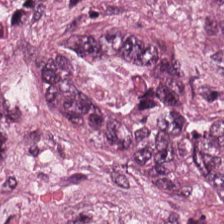Hematoxylin and eosin.
The classification is malignant epithelium.
